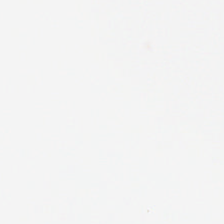Hematoxylin and eosin; 0.5 µm per pixel — Content — no tissue.
